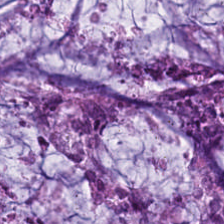Hematoxylin and eosin. Showing extracellular mucin.
